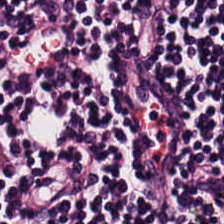Hematoxylin-and-eosin stained section — This field is lymphocyte aggregate.
